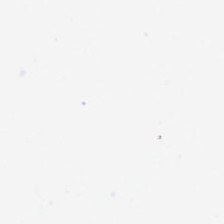Q: What is shown in this field?
A: It is no tissue.
